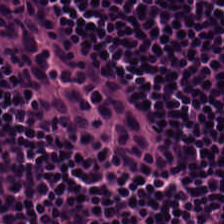H&E.
Finding → lymphocyte aggregate.
